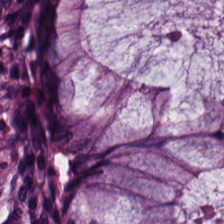Hematoxylin-and-eosin section: normal colonic mucosa.
